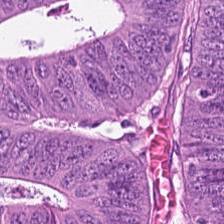The tissue here is colorectal adenocarcinoma epithelium.
